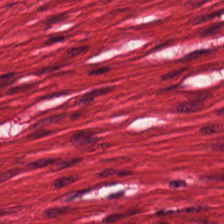Hematoxylin and eosin.
Muscularis.
